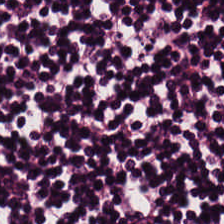H&E stain. Q: What type of tissue is this?
A: Lymphocytic infiltrate.
